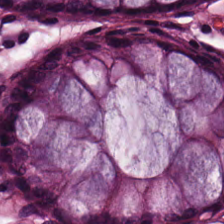Stain: H&E stain.
Acquisition: brightfield.
Resolution: 20× equivalent magnification.
Tissue class: normal colonic mucosa.
